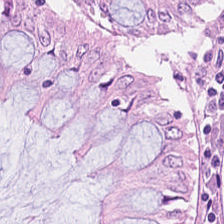H&E — {"tissue_type": "non-neoplastic colon mucosa"}
